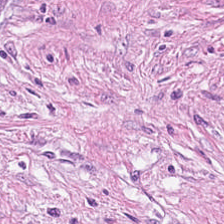224×224 px tile; WSI patch; H&E-stained tissue section — Tissue class — tumor-associated stroma.
